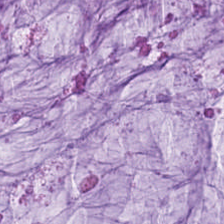H&E-stained section; the field shows extracellular mucin.
